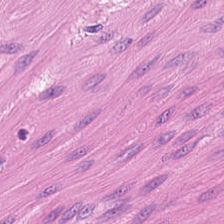Formalin-fixed paraffin-embedded section · hematoxylin-and-eosin stained section. Smooth muscle.
